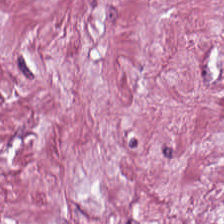H&E-stained tissue section.
Showing cancer-associated stroma.
